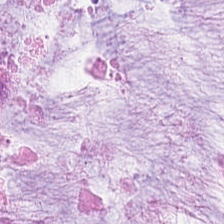FFPE; H&E-stained tissue section.
Tissue = mucin.
